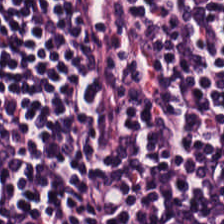0.5 µm/px; H&E — Q: What is shown here?
A: It is lymphocytes.
